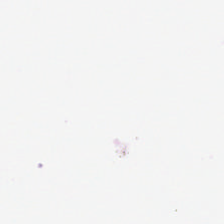Stain: hematoxylin and eosin.
Acquisition: whole-slide-image patch.
Tile size: 224×224 px patch.
Content: empty background.
